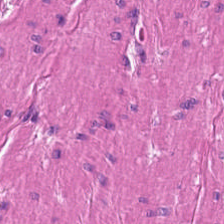H&E · formalin-fixed paraffin-embedded section.
Classification = smooth-muscle tissue.
